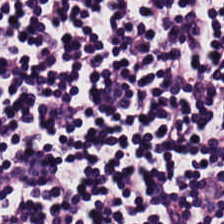Q: What is shown here?
A: This is lymphocyte aggregate.
